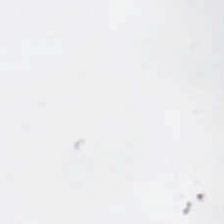H&E.
Empty field — no tissue.
